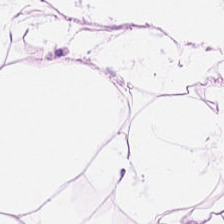H&E — The tissue type is adipocytes.
